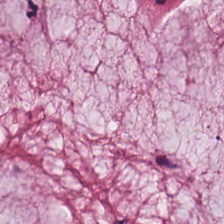224×224 pixel tile · H&E-stained tissue section. Q: What is shown in this field?
A: Extracellular mucin.
